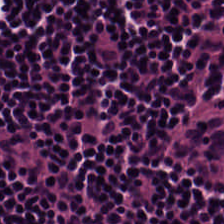Showing lymphocytes.
